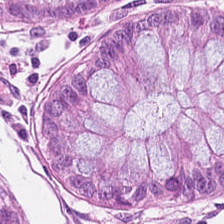224×224 pixel tile; hematoxylin-and-eosin stained section. Q: Classify this patch.
A: The field shows normal colonic mucosa.
